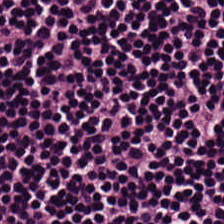Brightfield. Hematoxylin-and-eosin stained section. Histology → lymphocytic infiltrate.
